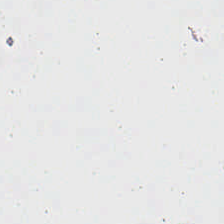Hematoxylin and eosin.
The classification is empty background.
